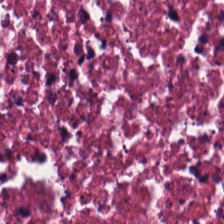Hematoxylin and eosin; 224×224 pixel tile — Impression — debris.
